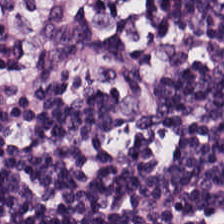Histology → lymphocytes.
